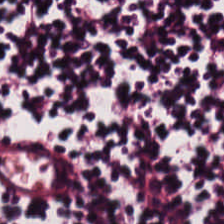Stain: H&E.
Resolution: 0.5 µm/px.
Tissue class: lymphocytes.
